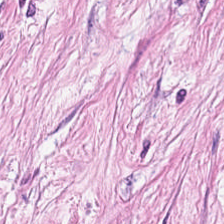0.5 µm/px. Hematoxylin and eosin. Q: What does this patch show?
A: This is tumor-associated stroma.
